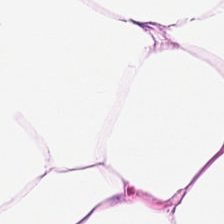Stain: H&E.
Preparation: FFPE tissue section.
Resolution: 0.5 µm/px.
Tissue class: adipose tissue.
